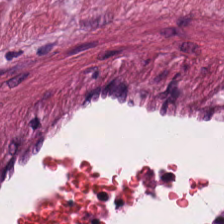H&E stain — Histology → desmoplastic stroma.
